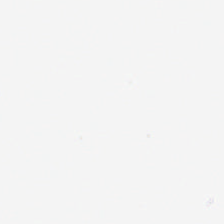Hematoxylin-and-eosin stained section. FFPE. 224×224 px tile — Classification = no tissue.
